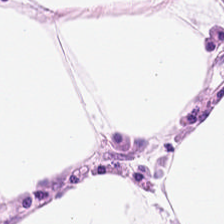H&E.
Adipocytes.
